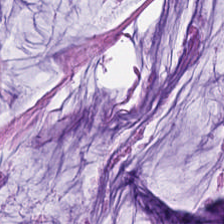Hematoxylin and eosin. The tissue here is mucin.
